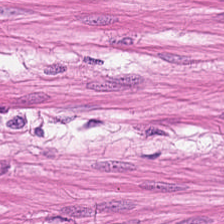Q: What is shown here?
A: The field shows smooth muscle.
